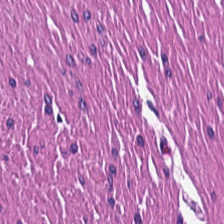FFPE tissue section · H&E-stained tissue section — Predominant tissue: smooth-muscle tissue.
